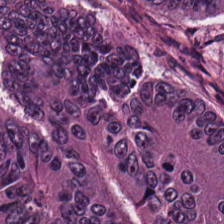Q: What does this patch show?
A: The field shows colorectal adenocarcinoma epithelium.
